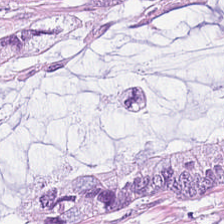Stain: H&E-stained tissue section.
Acquisition: whole-slide-image patch.
Tissue: mucus.
